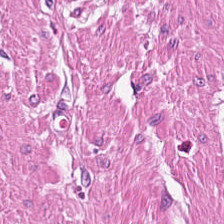Hematoxylin and eosin; brightfield microscopy — The predominant tissue is muscularis.
